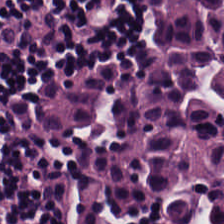224×224 px patch · H&E stain · formalin-fixed paraffin-embedded section.
Lymphocyte aggregate.
